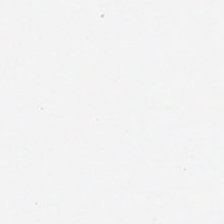WSI patch · FFPE tissue section · hematoxylin and eosin.
This field is background (no tissue).
